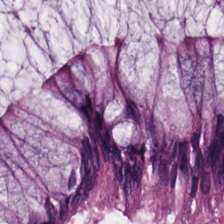224×224 px patch; H&E stain — Predominant tissue — benign colonic mucosa.
